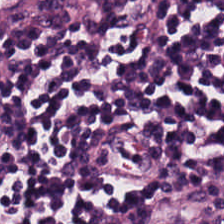Tissue = lymphocytes.
